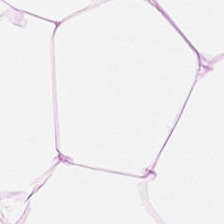Stain: hematoxylin and eosin.
Preparation: formalin-fixed paraffin-embedded section.
Predominant tissue: fat tissue.
